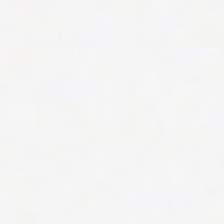H&E stain — Empty field — no tissue.
